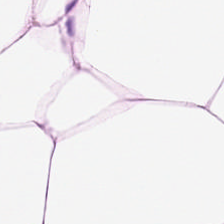Hematoxylin-and-eosin stained section; 20× equivalent magnification. The tissue type is adipose tissue.
